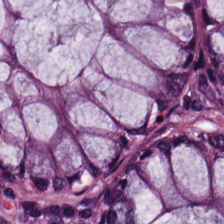Hematoxylin-and-eosin stained section. The predominant tissue is normal colonic mucosa.
